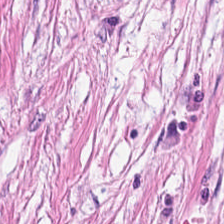Predominantly desmoplastic stroma.
